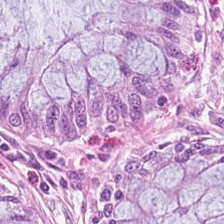Stain: H&E.
Preparation: FFPE tissue section.
Tissue type: non-neoplastic colon mucosa.
